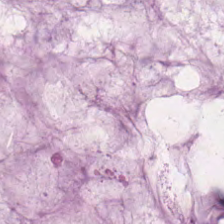FFPE · H&E.
Impression — extracellular mucin.
